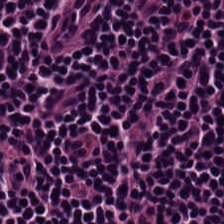H&E-stained tissue section — The predominant tissue is lymphocytes.
